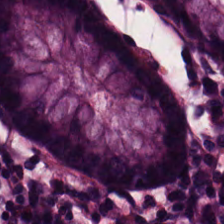Hematoxylin-and-eosin stained section · 224×224 px patch.
Predominant tissue: non-neoplastic colon mucosa.
